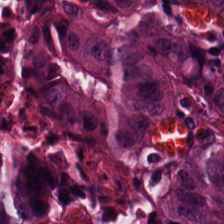Stain: H&E-stained tissue section.
Preparation: FFPE.
Tissue type: colorectal adenocarcinoma epithelium.
